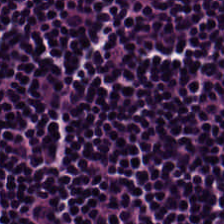Stain: hematoxylin and eosin.
Acquisition: brightfield microscopy.
Tile size: 224×224 pixel tile.
Tissue: lymphoid infiltrate.
